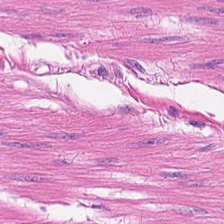Brightfield microscopy. H&E. 0.5 microns per pixel.
Q: What tissue type is shown here?
A: The field shows muscularis.
